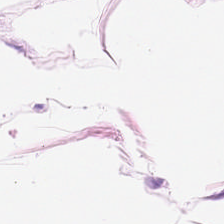Stain: hematoxylin and eosin.
Tissue class: adipose tissue.
